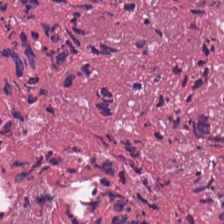H&E patch showing cellular debris.
